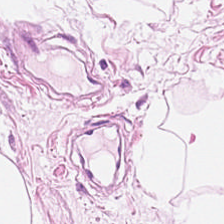0.5 µm/px; H&E — Finding — adipose tissue.
